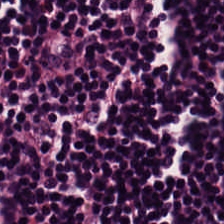H&E-stained tissue section. Predominantly lymphocyte aggregate.
